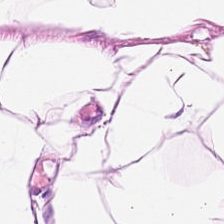Hematoxylin-and-eosin stained section.
Fat tissue.
